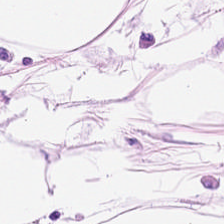Tissue: adipocytes.
